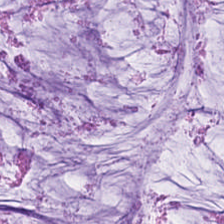H&E-stained tissue section showing mucus.
